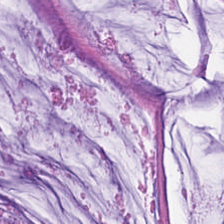Hematoxylin-and-eosin stained section · 224×224 px tile — Tissue type = mucus.
